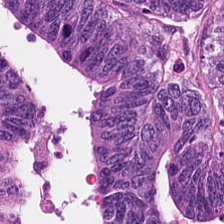Whole-slide-image patch · H&E-stained tissue section.
Q: Classify this patch.
A: It is malignant epithelium.
